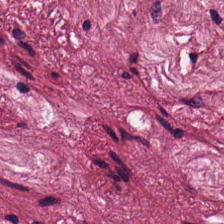Q: What is shown in this field?
A: Desmoplastic stroma.
